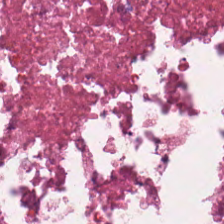{"tissue_type": "cellular debris"}
